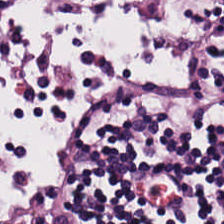Q: What tissue is shown?
A: It is lymphocyte aggregate.
